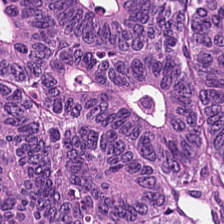Stain: hematoxylin and eosin.
Predominant tissue: malignant epithelium.
